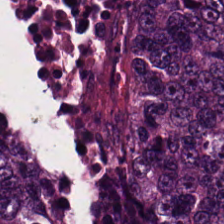Histology → tumor epithelium.
